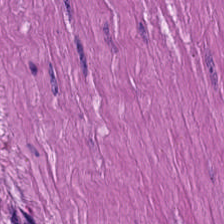Impression → smooth muscle.
